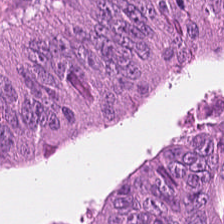Hematoxylin-and-eosin stained section. Histology → adenocarcinoma.
